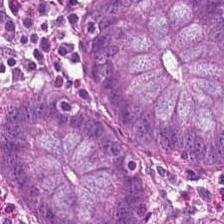Hematoxylin and eosin.
Showing normal colon mucosa.
